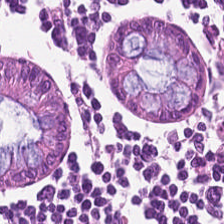20× equivalent magnification. Hematoxylin-and-eosin stained section — The predominant tissue is benign colonic mucosa.
